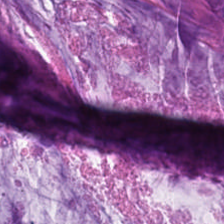Impression — mucin.
